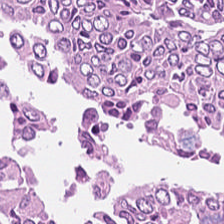H&E stain — Q: Identify the tissue.
A: It is colorectal adenocarcinoma epithelium.
